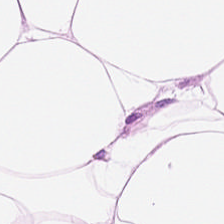Stain: hematoxylin-and-eosin stained section.
Tissue: adipose tissue.
